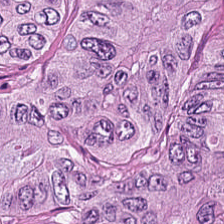Stain: hematoxylin and eosin.
Classification: malignant epithelium.
